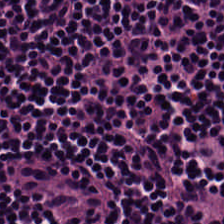Stain: hematoxylin-and-eosin stained section.
Tissue class: lymphocytic infiltrate.
